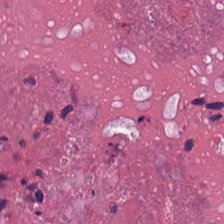Stain: hematoxylin and eosin.
Acquisition: brightfield.
Tissue: debris.
